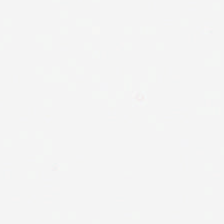Hematoxylin-and-eosin stained section — Q: What does this patch show?
A: Background.
